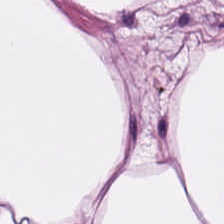Stain: H&E stain.
Tissue type: adipocytes.
